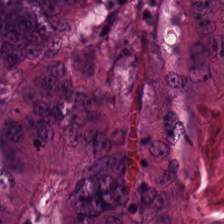H&E stain — Q: What is shown in this field?
A: It is adenocarcinoma.
